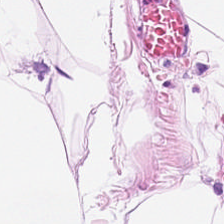H&E stain — Predominantly adipocytes.
